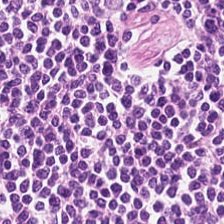Formalin-fixed paraffin-embedded section; H&E stain — Q: What is the predominant tissue type?
A: It is lymphoid infiltrate.
